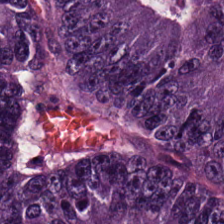H&E stain.
Q: What is the predominant tissue type?
A: Colorectal adenocarcinoma.
